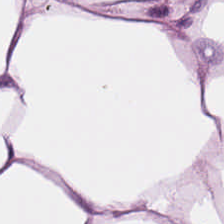H&E stain.
Histology → fat tissue.
